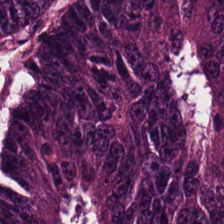The predominant tissue is adenocarcinoma.
